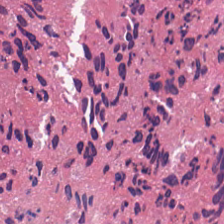Hematoxylin and eosin. This patch shows cellular debris.
